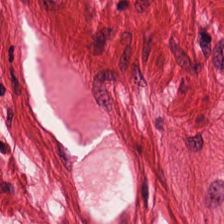FFPE tissue section. H&E-stained tissue section — This field is smooth-muscle tissue.
